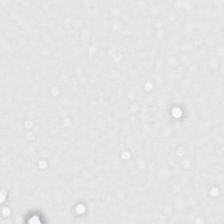Q: What is shown in this field?
A: It is no tissue.
